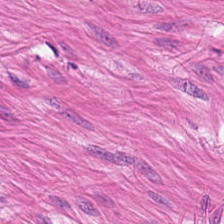H&E-stained tissue section. The predominant tissue is smooth muscle.
